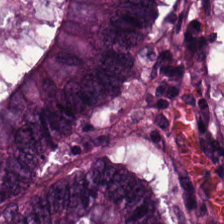Q: What does this patch show?
A: Tumor epithelium.
